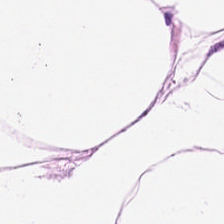Brightfield; H&E-stained tissue section; 0.5 µm/px. This patch shows adipose tissue.
